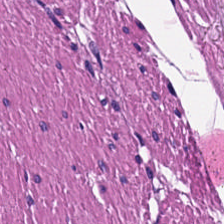Q: Identify the tissue.
A: It is smooth-muscle tissue.
